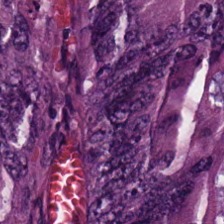H&E-stained tissue section. WSI patch — Q: Classify this patch.
A: This is malignant epithelium.
